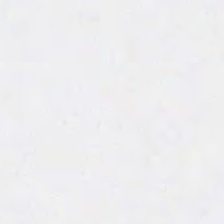WSI patch · H&E stain · 224×224 pixel tile. This field is background (no tissue).
